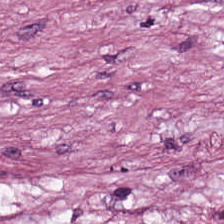Showing cancer-associated stroma.
